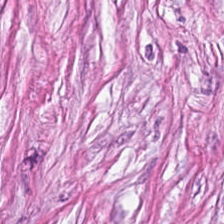0.5 µm per pixel; WSI patch; H&E-stained tissue section. This field is tumor-associated stroma.
